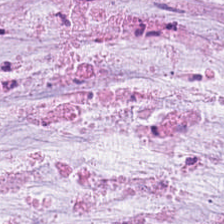Hematoxylin and eosin · brightfield.
{"tissue_type": "mucus"}
